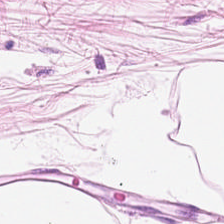Stain: hematoxylin and eosin.
Tile size: 224×224 pixel tile.
Predominant tissue: adipose tissue.
